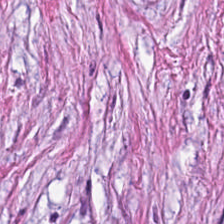Hematoxylin and eosin · brightfield.
Tissue: cancer-associated stroma.
